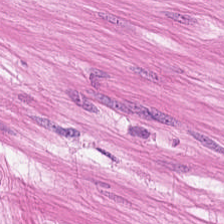WSI patch. H&E. Tissue — smooth muscle.
